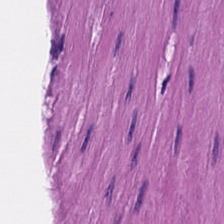Hematoxylin and eosin · formalin-fixed paraffin-embedded section · 224×224 pixel tile.
Smooth-muscle tissue.
